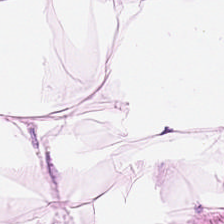Predominantly adipose.
